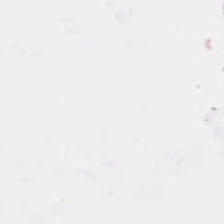Hematoxylin-and-eosin stained section. Impression → empty background.
